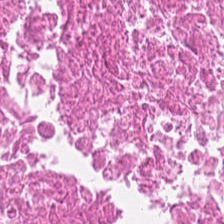FFPE · H&E-stained tissue section.
Tissue class: cellular debris.
